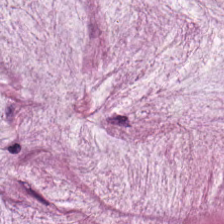H&E-stained tissue section · FFPE tissue section. The predominant tissue is mucin.
